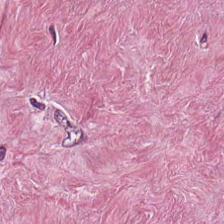Stain: H&E stain.
Tissue class: desmoplastic stroma.
